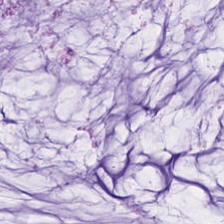H&E patch showing extracellular mucin.
